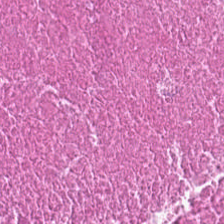Q: Classify this patch.
A: The field shows cellular debris.
